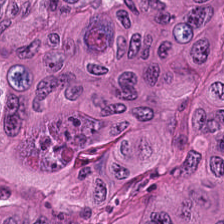H&E stain — Predominant tissue — colorectal adenocarcinoma epithelium.
